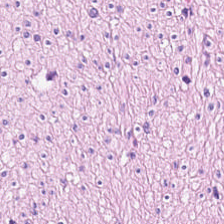Stain: hematoxylin-and-eosin stained section.
Acquisition: brightfield.
Tissue: muscularis.
